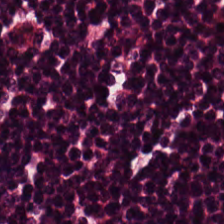Hematoxylin and eosin; 0.5 microns per pixel. Q: What tissue type is shown here?
A: It is lymphocytic infiltrate.
